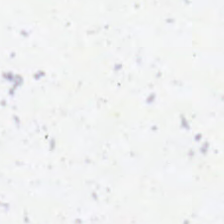No tissue present; background only.
